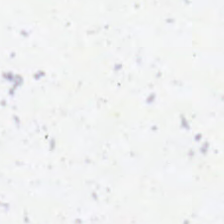No tissue present; background only.
